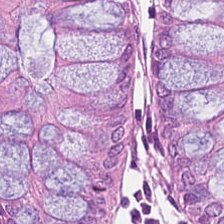H&E stain. Impression — benign colonic mucosa.
